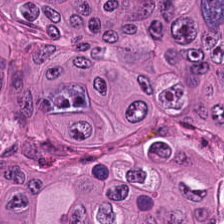Stain: hematoxylin-and-eosin stained section.
Tissue type: malignant epithelium.
